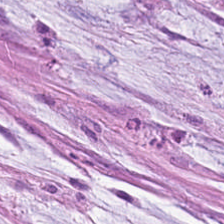Tissue class — mucin.
